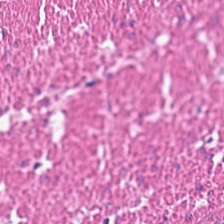H&E-stained tissue section — Showing smooth muscle.
